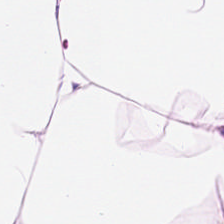Classification — adipocytes.
